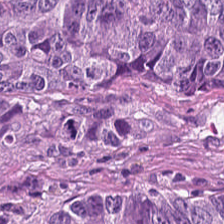FFPE tissue section. H&E-stained tissue section.
Tissue class — adenocarcinoma.
